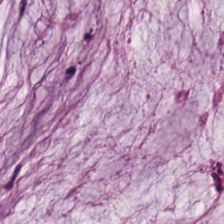Formalin-fixed paraffin-embedded section. 20× equivalent magnification. H&E — The predominant tissue is mucin.
